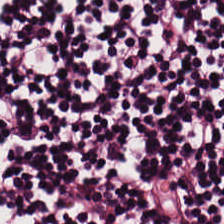H&E. FFPE tissue section — Q: Classify this patch.
A: It is lymphoid infiltrate.
